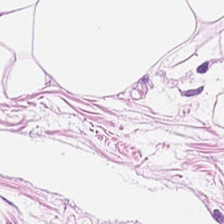Hematoxylin-and-eosin stained section; 20× equivalent magnification; 224×224 px patch.
The classification is adipocytes.
